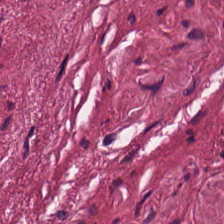H&E-stained tissue section. Predominantly cancer-associated stroma.
